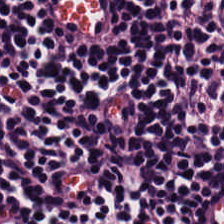This patch shows lymphocytic infiltrate.
